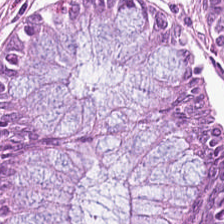Showing benign colonic mucosa.
